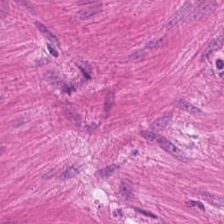20× equivalent magnification; H&E-stained tissue section; brightfield microscopy. Smooth muscle.
